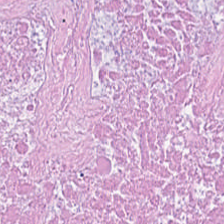224×224 px patch. Brightfield. H&E.
The tissue here is debris.
